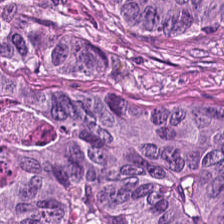H&E; 0.5 microns per pixel; 224×224 pixel tile.
Tissue type: adenocarcinoma.
